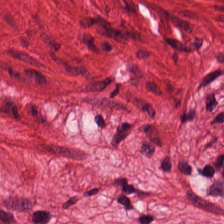This patch shows smooth-muscle tissue.
